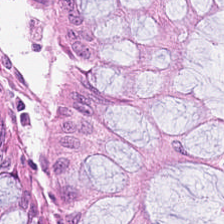H&E. Q: What does this patch show?
A: Non-neoplastic colon mucosa.
